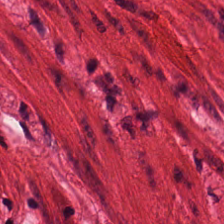FFPE; whole-slide-image patch; H&E-stained tissue section — Tissue — smooth muscle.
